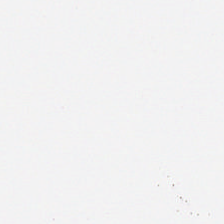Hematoxylin and eosin — Histology → no tissue.
